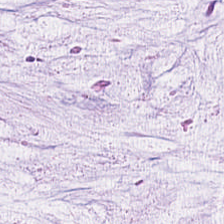Q: What is shown here?
A: This is mucin.
